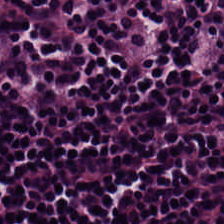Q: What type of tissue is this?
A: Lymphocytes.
